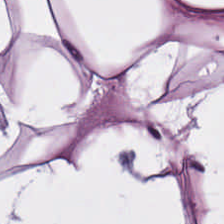Histology — adipose.
